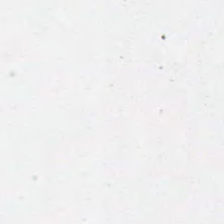H&E stain. Content — no tissue.
